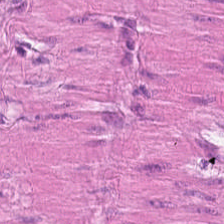Stain: H&E.
Tile size: 224×224 px tile.
Resolution: 0.5 microns per pixel.
Tissue: smooth muscle.
